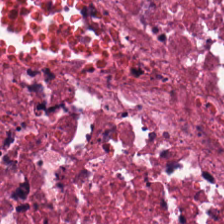H&E-stained tissue section.
The tissue here is necrotic debris.
